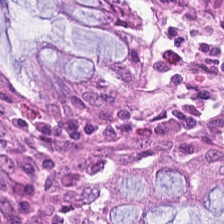Hematoxylin and eosin · 224×224 px tile · FFPE tissue section — Tissue type: benign colonic mucosa.
